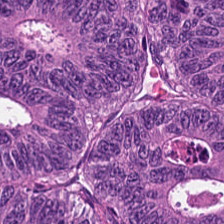0.5 µm/px · H&E — This patch shows adenocarcinoma.
